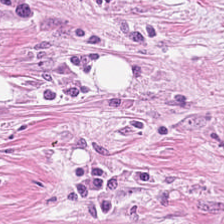Stain: hematoxylin and eosin.
Classification: tumor stroma.
